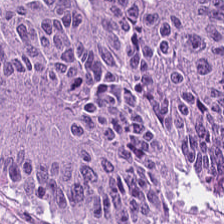H&E stain — Finding — colorectal adenocarcinoma.
